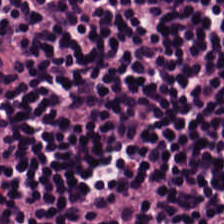Hematoxylin-and-eosin stained section.
The predominant tissue is lymphoid infiltrate.
